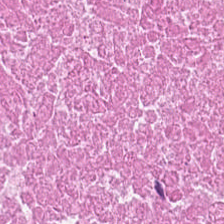Hematoxylin and eosin; 224×224 px tile; 0.5 µm/px.
Showing cellular debris.
